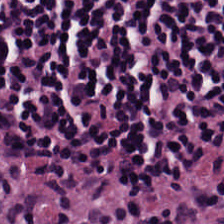Hematoxylin-and-eosin stained section. Tissue type — lymphoid infiltrate.
